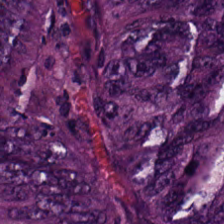H&E patch showing adenocarcinoma.
